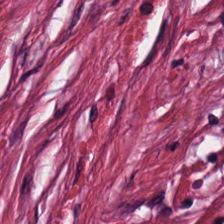Brightfield microscopy · hematoxylin and eosin — Classification — tumor-associated stroma.
